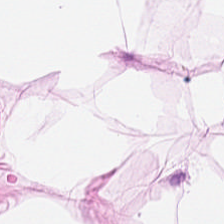Hematoxylin and eosin. The tissue here is adipocytes.
